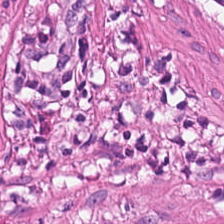H&E-stained tissue section — Predominantly smooth muscle.
